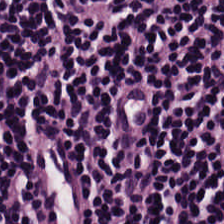The tissue here is lymphocyte aggregate.
